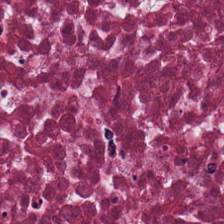Hematoxylin-and-eosin stained section.
Tissue = necrotic debris.
